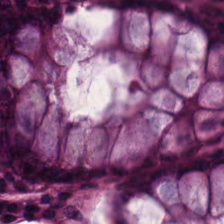Stain: H&E.
Acquisition: WSI patch.
Tile size: 224×224 pixel tile.
Classification: normal colonic mucosa.
